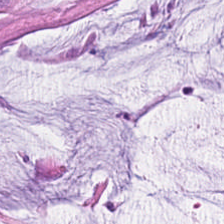Stain: hematoxylin and eosin.
Tile size: 224×224 px tile.
Predominant tissue: extracellular mucin.
